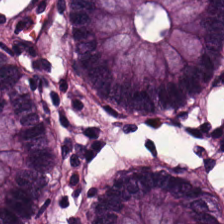H&E stain.
{"tissue_type": "benign colonic mucosa"}
